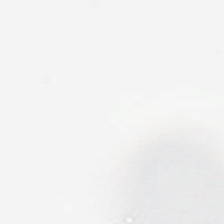H&E.
Classification = background (no tissue).
